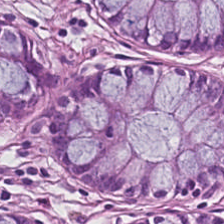The predominant tissue is normal colonic mucosa.
